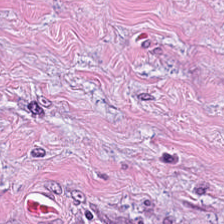H&E-stained tissue section. Predominantly cancer-associated stroma.
